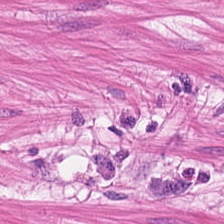Hematoxylin-and-eosin stained section. Q: Classify this patch.
A: The field shows smooth-muscle tissue.
